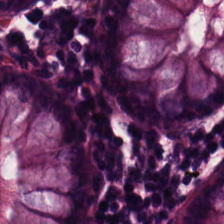H&E-stained tissue section — Predominantly non-neoplastic colon mucosa.
